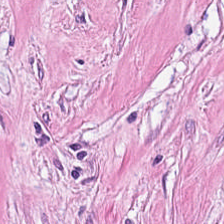H&E.
{"tissue_type": "cancer-associated stroma"}
